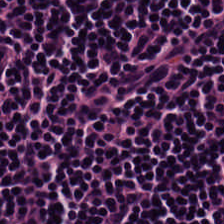Stain: H&E stain.
Classification: lymphocytic infiltrate.
